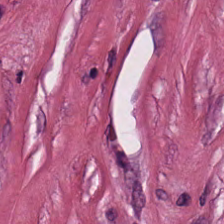Predominantly desmoplastic stroma.
